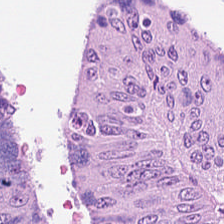The tissue type is malignant epithelium.
